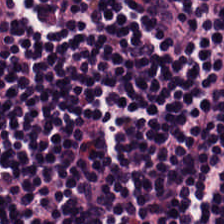Hematoxylin and eosin.
Predominant tissue — lymphocytes.
